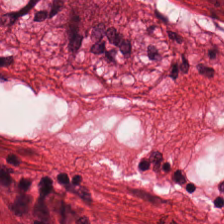H&E-stained tissue section · 0.5 µm per pixel — This patch shows smooth muscle.
